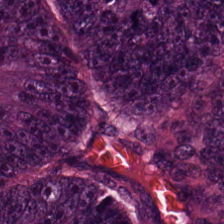Stain: hematoxylin and eosin.
Predominant tissue: adenocarcinoma.
